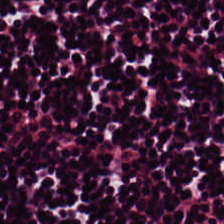Hematoxylin and eosin. Classification: lymphocyte aggregate.
